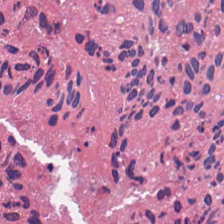H&E. Predominantly cellular debris.
